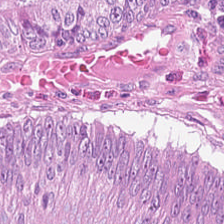H&E-stained tissue section — This patch shows malignant epithelium.
